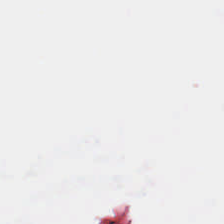Hematoxylin-and-eosin stained section — This field is background (no tissue).
